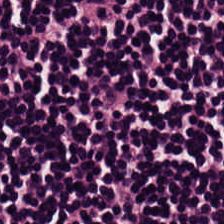H&E-stained tissue section — Tissue type — lymphoid infiltrate.
